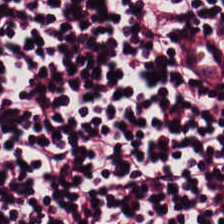H&E — Tissue type = lymphocyte aggregate.
